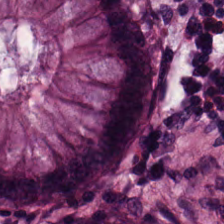H&E. This field is normal colon mucosa.
